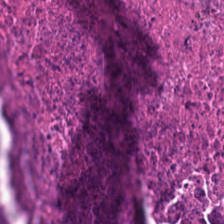H&E stain; brightfield microscopy — This field is cellular debris.
